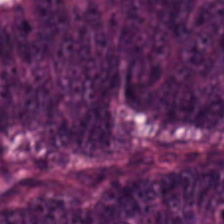224×224 pixel tile. Hematoxylin and eosin. FFPE tissue section. Tissue type = adenocarcinoma.
